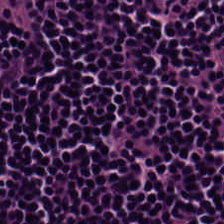H&E — Tissue class — lymphocytes.
